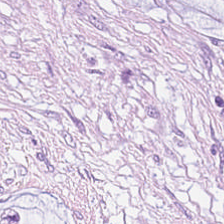Finding — mucin.
